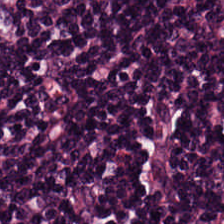WSI patch · H&E stain · FFPE tissue section.
This field is lymphocytic infiltrate.
